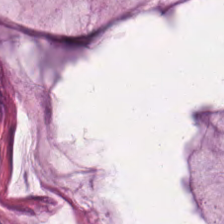H&E stain. Tissue = mucin.
